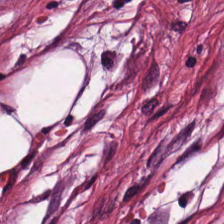H&E-stained tissue section.
{"tissue_type": "cancer-associated stroma"}
